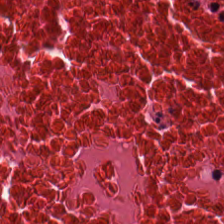H&E stain. Predominant tissue — necrotic debris.
